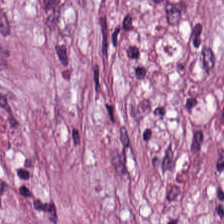H&E-stained tissue section; 20× equivalent magnification.
Q: What tissue is shown?
A: This is tumor-associated stroma.
